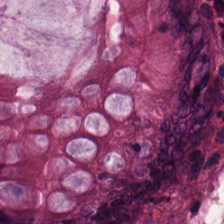Hematoxylin and eosin — Showing non-neoplastic colon mucosa.
